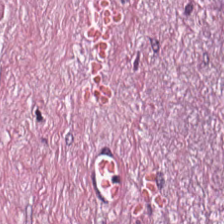H&E. This field is tumor stroma.
